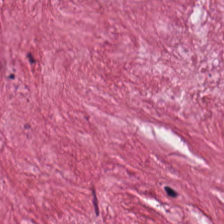Hematoxylin-and-eosin stained section; 224×224 px patch.
The tissue here is cancer-associated stroma.
